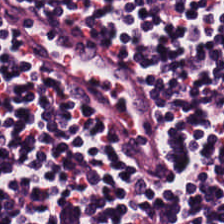H&E stain — Q: Identify the tissue.
A: It is lymphocytic infiltrate.
